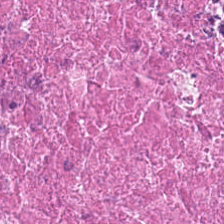H&E-stained tissue section. Formalin-fixed paraffin-embedded section.
Predominant tissue = debris.
